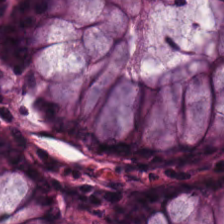Hematoxylin-and-eosin stained section.
Q: What is the predominant tissue type?
A: The field shows non-neoplastic colon mucosa.
